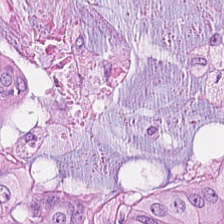Stain: H&E.
Tissue: malignant epithelium.
